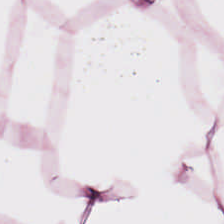Tissue — adipocytes.
